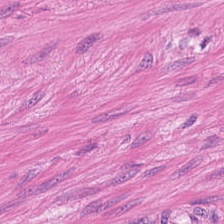Hematoxylin-and-eosin stained section — This patch shows smooth muscle.
